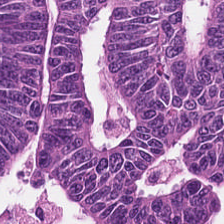20× equivalent magnification; brightfield microscopy; H&E stain.
Tumor epithelium.
